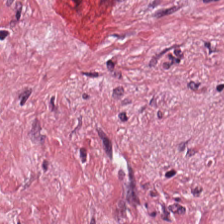Stain: H&E-stained tissue section.
Predominant tissue: tumor-associated stroma.
